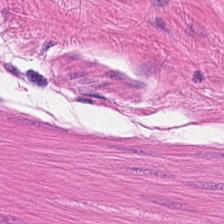224×224 px tile; H&E-stained tissue section; 0.5 microns per pixel — Q: Identify the tissue.
A: Muscularis.
